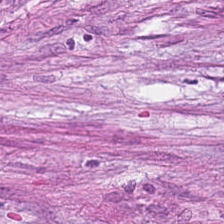Stain: hematoxylin-and-eosin stained section.
Classification: desmoplastic stroma.
